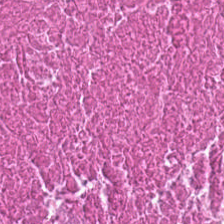{"tissue_type": "cellular debris"}
